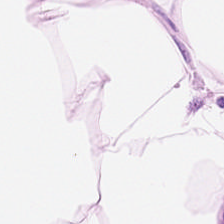0.5 microns per pixel; 224×224 px tile; hematoxylin and eosin. {"tissue_type": "adipocytes"}
